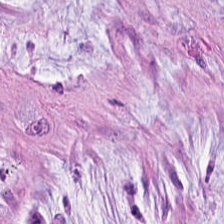H&E-stained section; the field shows mucin.
